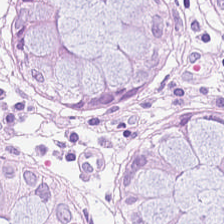Showing normal colon mucosa.
